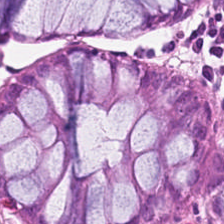Q: What is the predominant tissue type?
A: It is normal colonic mucosa.
